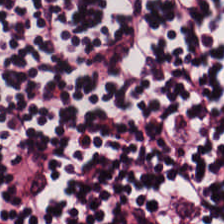Lymphoid infiltrate.
